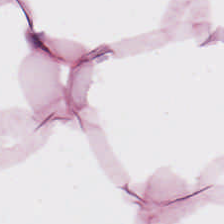Brightfield microscopy. H&E. {"tissue_type": "adipose tissue"}
